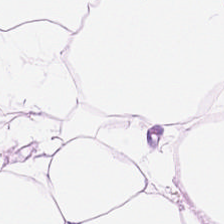FFPE · hematoxylin and eosin.
Q: What tissue type is shown here?
A: This is fat tissue.
